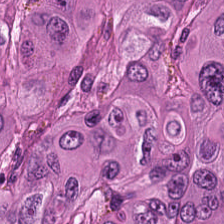H&E-stained tissue section.
The tissue here is adenocarcinoma.
